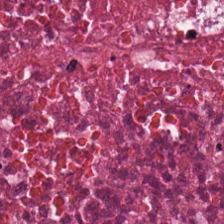H&E stain; 224×224 pixel tile; brightfield. Q: What tissue is shown?
A: Cellular debris.
